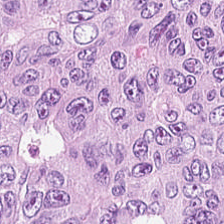Stain: H&E stain.
Tile size: 224×224 px patch.
Tissue class: colorectal adenocarcinoma.
